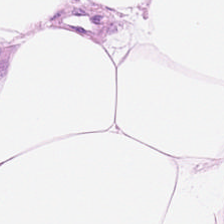H&E-stained section; the field shows fat tissue.
